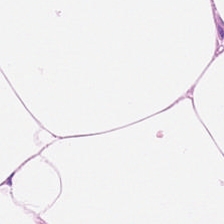Showing adipose tissue.
